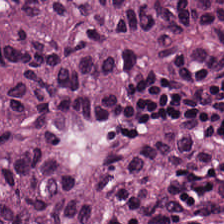Hematoxylin-and-eosin section: colorectal adenocarcinoma epithelium.
